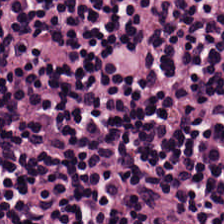H&E. 224×224 px tile.
Tissue type: lymphocytic infiltrate.
